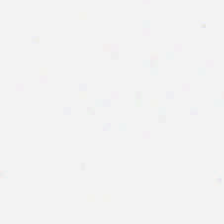Empty background.
